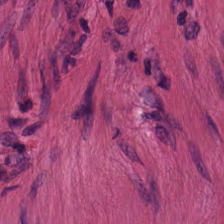Hematoxylin-and-eosin stained section. Predominant tissue = smooth muscle.
